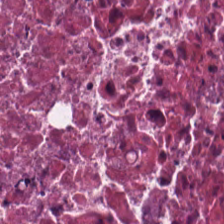Hematoxylin and eosin. Brightfield microscopy. 224×224 px tile — This field is cellular debris.
